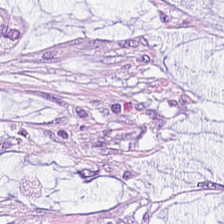H&E stain. Predominantly extracellular mucin.
